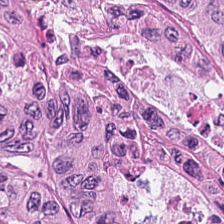The tissue here is malignant epithelium.
